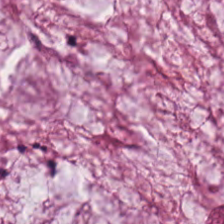Mucin.
